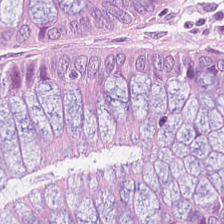Tissue class = non-neoplastic colon mucosa.
